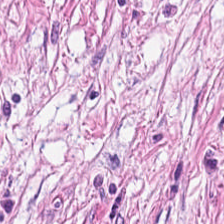H&E stain — Q: Identify the tissue.
A: This is tumor-associated stroma.
